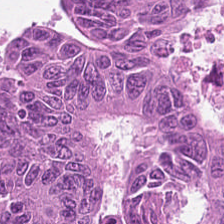Stain: hematoxylin and eosin.
Classification: colorectal adenocarcinoma epithelium.
